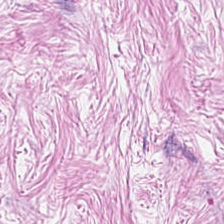WSI patch. H&E stain — The predominant tissue is cancer-associated stroma.
